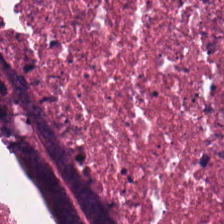Hematoxylin-and-eosin section: debris.
